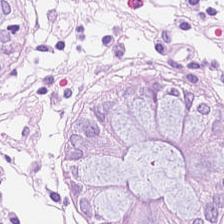Hematoxylin-and-eosin stained section.
This field is normal colonic mucosa.
